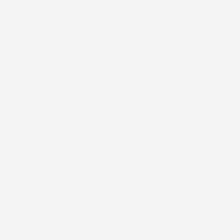Q: What is shown in this field?
A: No tissue.
